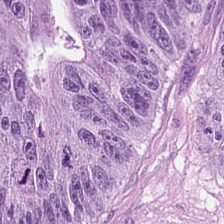224×224 px patch; hematoxylin and eosin; whole-slide-image patch — Tissue: colorectal adenocarcinoma.
